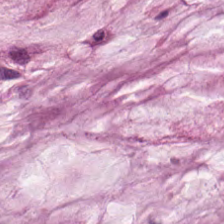Stain: hematoxylin-and-eosin stained section.
Classification: extracellular mucin.
